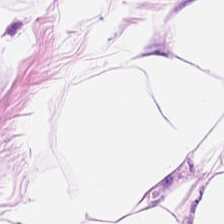The classification is adipose tissue.
